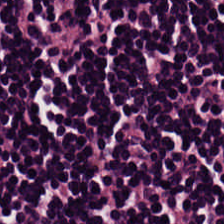H&E stain. Q: Identify the tissue.
A: This is lymphocytes.
